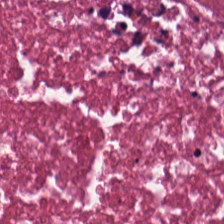H&E. FFPE tissue section. {"tissue_type": "necrotic debris"}
